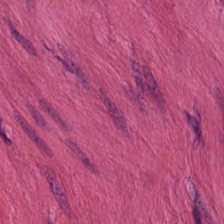H&E-stained section; the field shows smooth muscle.
